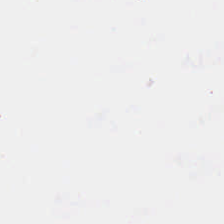224×224 px patch. FFPE. H&E stain — Background — no tissue in this field.
